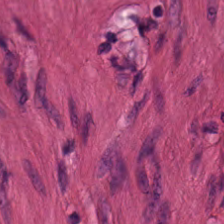Hematoxylin-and-eosin stained section.
Muscularis.
